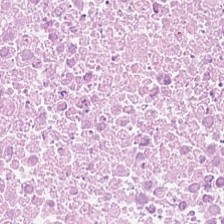Stain: hematoxylin-and-eosin stained section.
Classification: debris.
